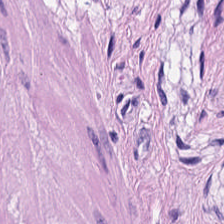Impression → smooth muscle.
